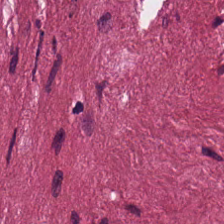H&E. Brightfield microscopy. 224×224 pixel tile. Q: What does this patch show?
A: Tumor-associated stroma.
